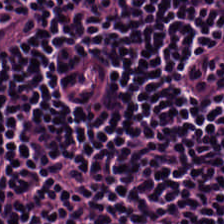Stain: hematoxylin-and-eosin stained section.
Acquisition: whole-slide-image patch.
Preparation: FFPE.
Tissue type: lymphocyte aggregate.
